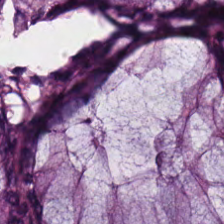{"tissue_type": "non-neoplastic colon mucosa"}
